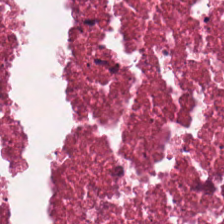Formalin-fixed paraffin-embedded section. H&E. 224×224 px tile.
The tissue here is cellular debris.
